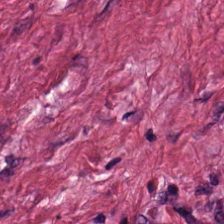H&E stain. This patch shows cancer-associated stroma.
